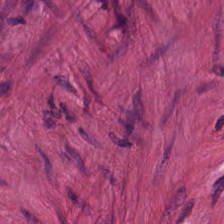WSI patch · 0.5 µm per pixel · H&E.
Q: Classify this patch.
A: It is smooth muscle.
